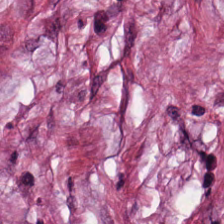Tissue type: cancer-associated stroma.
